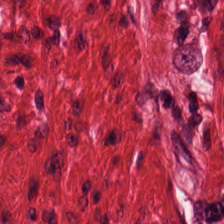Stain: H&E.
Preparation: formalin-fixed paraffin-embedded section.
Tissue class: muscularis.
